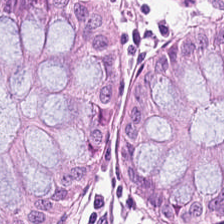H&E patch showing non-neoplastic colon mucosa.
